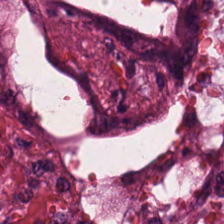0.5 µm/px; H&E stain.
Q: What does this patch show?
A: Debris.
